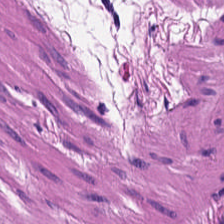The tissue type is smooth-muscle tissue.
